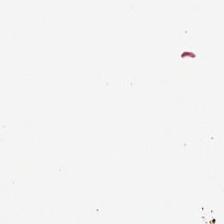Hematoxylin and eosin · 0.5 µm per pixel — Q: Classify this patch.
A: The field shows background (no tissue).
